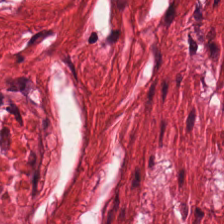224×224 pixel tile · hematoxylin and eosin · 0.5 microns per pixel — The predominant tissue is muscularis.
